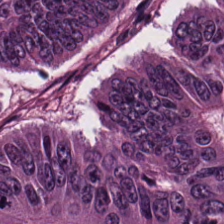H&E — colorectal adenocarcinoma epithelium.
